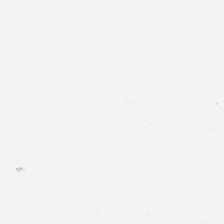This field is background (no tissue).
